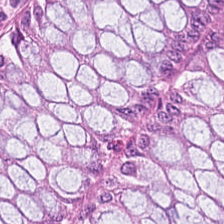H&E-stained tissue section — Showing non-neoplastic colon mucosa.
